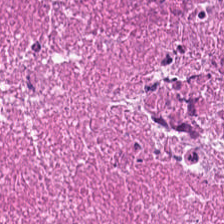Tissue: necrotic debris.
